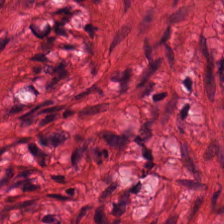H&E. 224×224 pixel tile — Q: Classify this patch.
A: Muscularis.
